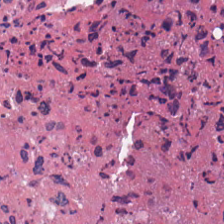Stain: hematoxylin and eosin.
Tissue type: necrotic debris.
